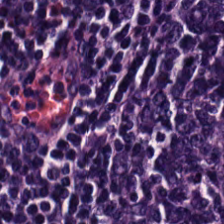Showing lymphocytic infiltrate.
